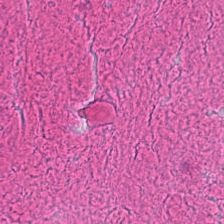H&E.
The tissue here is cellular debris.
